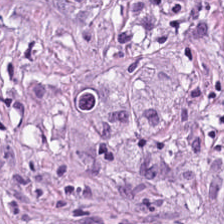0.5 microns per pixel · hematoxylin and eosin.
This patch shows desmoplastic stroma.
